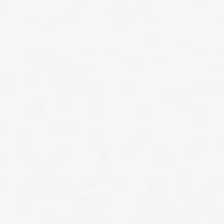Stain: H&E-stained tissue section.
Content: no tissue.
